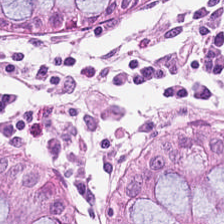Histology → non-neoplastic colon mucosa.
